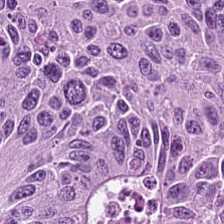Stain: H&E.
Acquisition: WSI patch.
Tissue: malignant epithelium.
